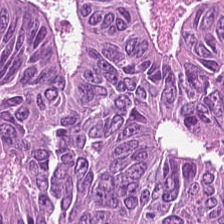20× equivalent magnification; H&E stain; brightfield microscopy.
Tumor epithelium.
